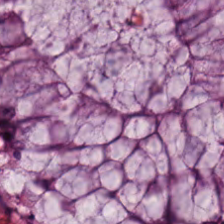0.5 microns per pixel. H&E stain.
This patch shows non-neoplastic colon mucosa.
